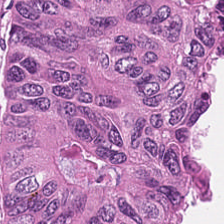Hematoxylin-and-eosin stained section.
Q: What is shown here?
A: This is cellular debris.
